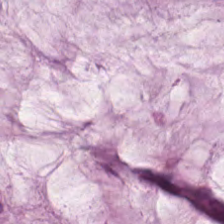0.5 µm/px; WSI patch; H&E-stained tissue section. This patch shows extracellular mucin.
